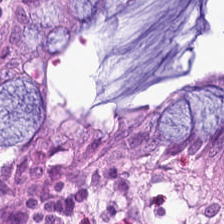Stain: hematoxylin and eosin.
Tissue class: benign colonic mucosa.
